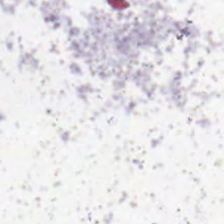H&E-stained tissue section — Content: empty background.
